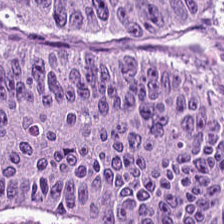Impression — colorectal adenocarcinoma epithelium.
